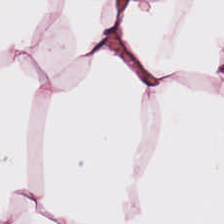Finding — fat tissue.
